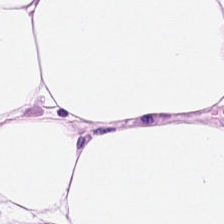20× equivalent magnification; hematoxylin-and-eosin stained section. Impression → adipose.
